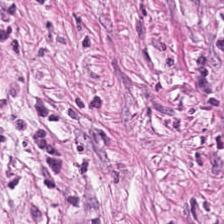H&E-stained section; the field shows cancer-associated stroma.
